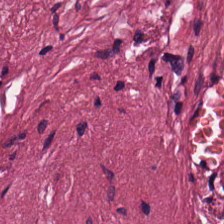H&E.
Q: What does this patch show?
A: It is cancer-associated stroma.
